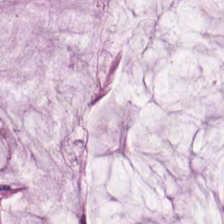H&E-stained tissue section showing extracellular mucin.
